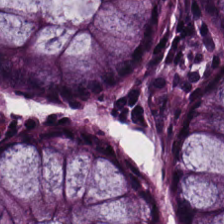Stain: H&E stain.
Tissue: benign colonic mucosa.
